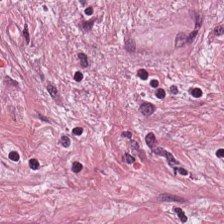Stain: hematoxylin and eosin.
Classification: cancer-associated stroma.
